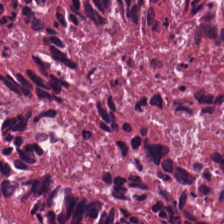Brightfield microscopy. H&E. Tissue: necrotic debris.
